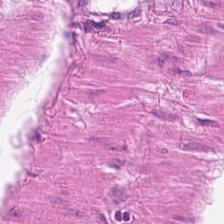H&E-stained tissue section. The tissue type is smooth-muscle tissue.
